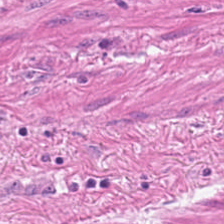Hematoxylin-and-eosin section: muscularis.
